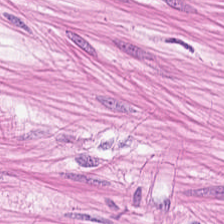H&E. Smooth-muscle tissue.
